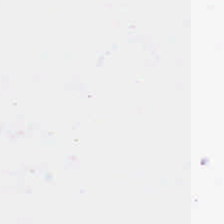H&E-stained tissue section · 224×224 px tile · FFPE. This patch shows background.
